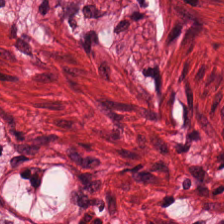Hematoxylin-and-eosin section: smooth-muscle tissue.
